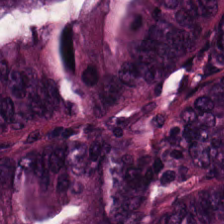The predominant tissue is tumor epithelium.
